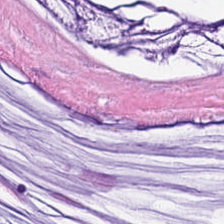Q: What type of tissue is this?
A: The field shows mucus.
